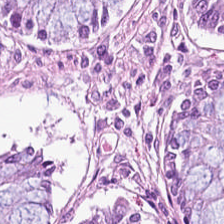0.5 µm/px; H&E-stained tissue section — Classification: normal colon mucosa.
